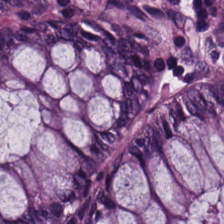Tissue: benign colonic mucosa.
